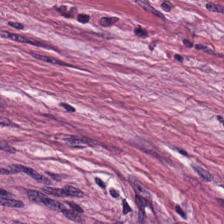Hematoxylin and eosin.
The tissue type is tumor-associated stroma.
